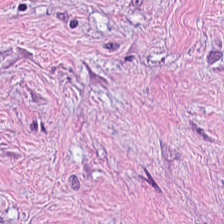H&E stain · 224×224 pixel tile — Showing tumor-associated stroma.
